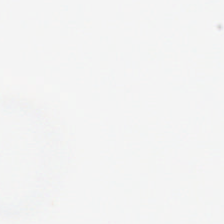FFPE · hematoxylin and eosin · 0.5 µm per pixel.
Histology — empty background.
